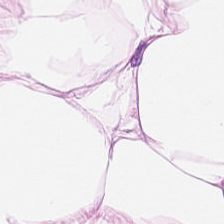Stain: H&E stain.
Acquisition: whole-slide-image patch.
Tissue type: adipocytes.
